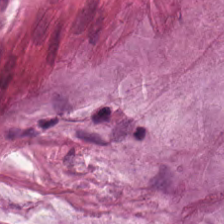Finding — extracellular mucin.
